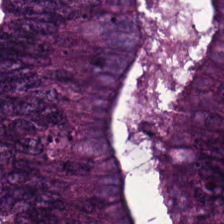Hematoxylin and eosin.
Predominantly adenocarcinoma.
